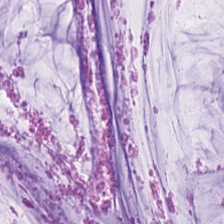H&E-stained tissue section; 0.5 microns per pixel. Classification = mucus.
